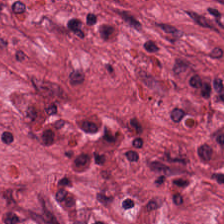Stain: H&E.
Resolution: 0.5 µm/px.
Tile size: 224×224 pixel tile.
Tissue type: cancer-associated stroma.
